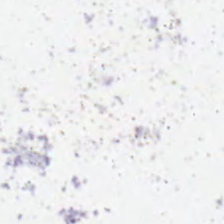H&E stain. Empty field — empty background.
